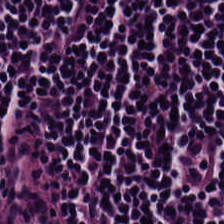Q: What does this patch show?
A: This is lymphocyte aggregate.
